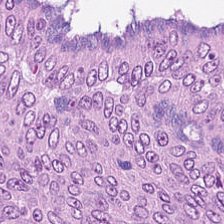H&E-stained tissue section · FFPE tissue section — Q: Classify this patch.
A: The field shows colorectal adenocarcinoma epithelium.
